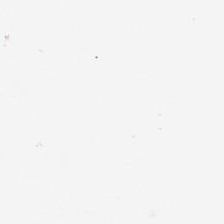0.5 µm/px; hematoxylin and eosin.
Background — no tissue in this field.
